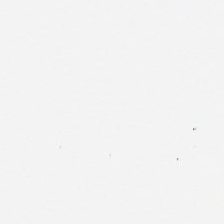224×224 px patch. Hematoxylin and eosin — Background (no tissue).
